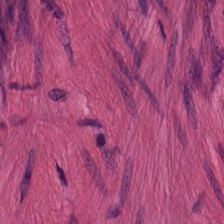Predominant tissue: muscularis.
